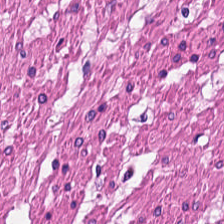H&E patch showing muscularis.
